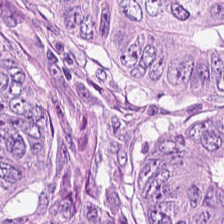H&E-stained tissue section.
Predominant tissue: colorectal adenocarcinoma.
